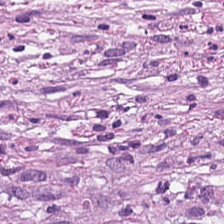Stain: hematoxylin and eosin.
Resolution: 20× equivalent magnification.
Tissue: desmoplastic stroma.
